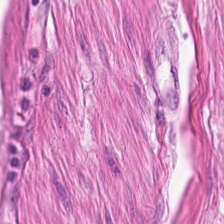FFPE tissue section · H&E stain. Tissue class = smooth muscle.
